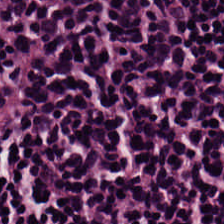Hematoxylin and eosin — This field is lymphocyte aggregate.
